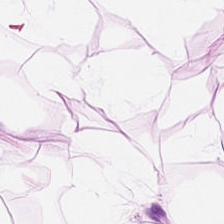Brightfield · H&E-stained tissue section.
Tissue type = fat tissue.
